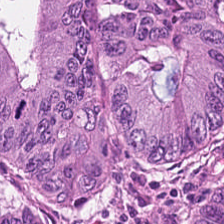H&E patch showing malignant epithelium.
